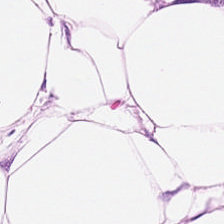FFPE; 224×224 px patch; H&E — {"tissue_type": "adipose tissue"}
